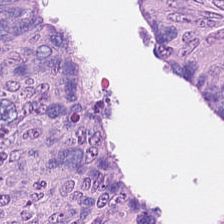Q: Identify the tissue.
A: The field shows tumor epithelium.
